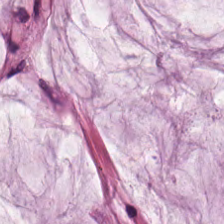H&E; 224×224 pixel tile; whole-slide-image patch — Q: What tissue is shown?
A: Extracellular mucin.
